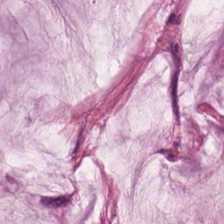Stain: H&E-stained tissue section.
Tissue class: mucin.
